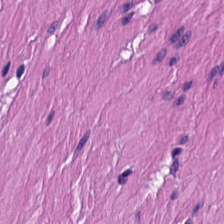Hematoxylin and eosin — Classification: smooth-muscle tissue.
